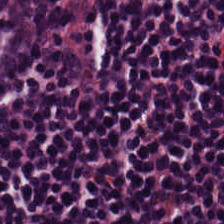Hematoxylin and eosin. This field is lymphocytic infiltrate.
